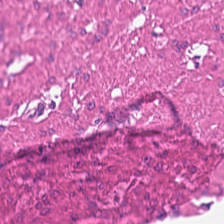Hematoxylin and eosin — Muscularis.
